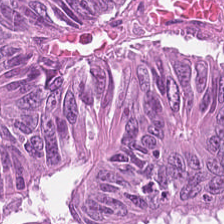0.5 microns per pixel; hematoxylin-and-eosin stained section.
Q: What is shown in this field?
A: Tumor epithelium.
